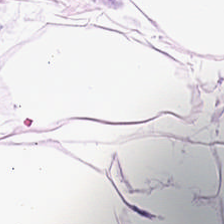H&E · 0.5 microns per pixel. Showing adipose tissue.
